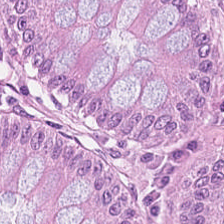H&E stain — The predominant tissue is non-neoplastic colon mucosa.
